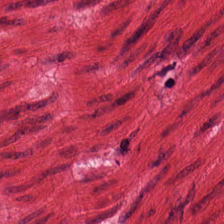224×224 pixel tile; hematoxylin and eosin. Q: What tissue type is shown here?
A: The field shows smooth muscle.
